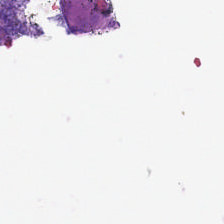H&E.
This patch shows no tissue.
